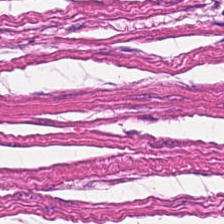FFPE tissue section. Hematoxylin-and-eosin stained section. Classification: muscularis.
